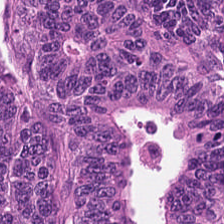H&E-stained tissue section.
Malignant epithelium.
